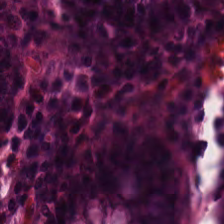H&E-stained tissue section. Predominantly non-neoplastic colon mucosa.
